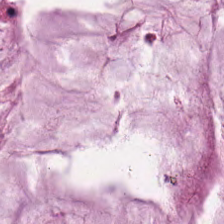WSI patch; FFPE; H&E stain. {"tissue_type": "mucus"}
